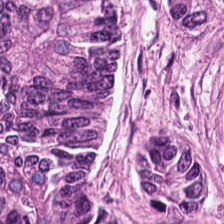Hematoxylin-and-eosin stained section.
Classification = colorectal adenocarcinoma.
